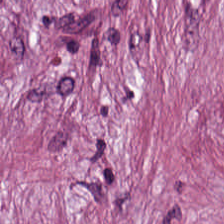WSI patch; H&E.
The tissue type is cancer-associated stroma.
